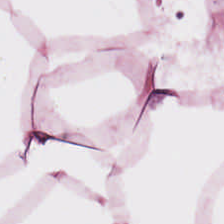H&E. Brightfield microscopy. The predominant tissue is fat tissue.
